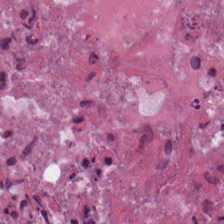Showing debris.
